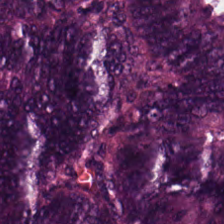Q: Classify this patch.
A: Colorectal adenocarcinoma epithelium.
